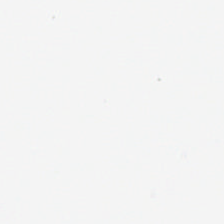H&E — Classification = background (no tissue).
